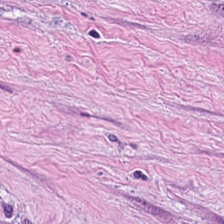224×224 pixel tile; hematoxylin and eosin; FFPE tissue section.
This patch shows cancer-associated stroma.
